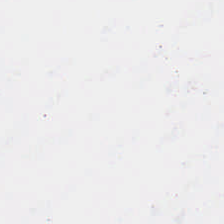FFPE. H&E stain. 0.5 microns per pixel. Empty background.
